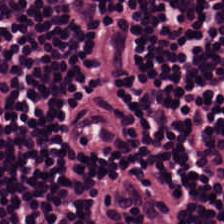H&E-stained tissue section. FFPE — Showing lymphocytes.
